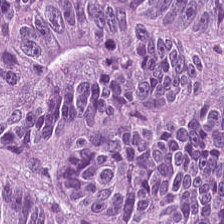H&E. 20× equivalent magnification. Histology — colorectal adenocarcinoma.
